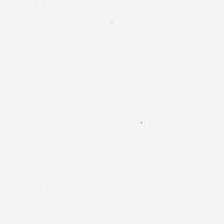H&E. Background — no tissue in this field.
